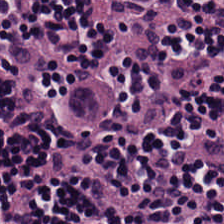This patch shows lymphocytes.
